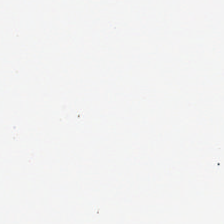Hematoxylin-and-eosin stained section; whole-slide-image patch. {"content": "no tissue"}
